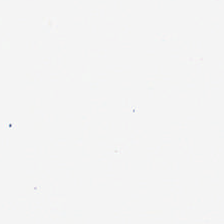Hematoxylin-and-eosin stained section; FFPE — The field content is empty background.
